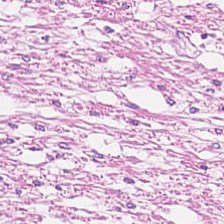H&E. WSI patch. Formalin-fixed paraffin-embedded section. Muscularis.
